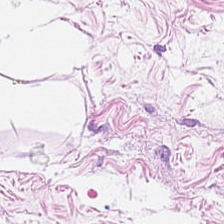The predominant tissue is adipose.
